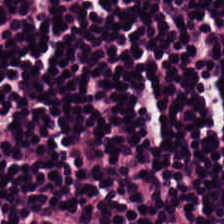H&E stain. 20× equivalent magnification.
The tissue type is lymphoid infiltrate.
